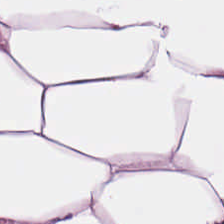Hematoxylin-and-eosin stained section. Finding → adipose tissue.
